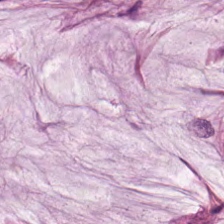H&E-stained tissue section.
Q: What is shown here?
A: Extracellular mucin.
